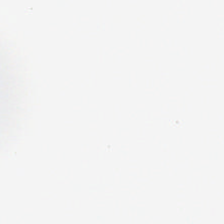224×224 px tile · hematoxylin and eosin. Q: What is shown in this field?
A: This is no tissue.
